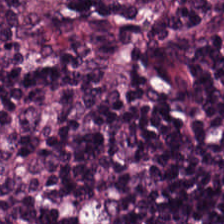224×224 px tile; hematoxylin and eosin — Q: What tissue type is shown here?
A: Lymphocytes.
